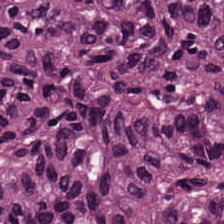0.5 microns per pixel. Hematoxylin-and-eosin stained section — The tissue class is malignant epithelium.
